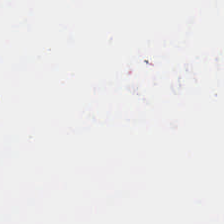Hematoxylin and eosin; 224×224 px tile; whole-slide-image patch. Finding — no tissue.
